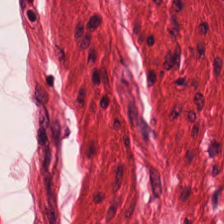H&E. 0.5 microns per pixel — Showing smooth-muscle tissue.
